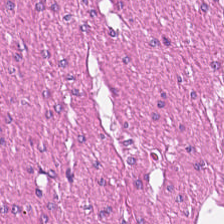H&E · 224×224 px patch.
This field is smooth muscle.
